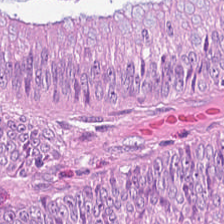0.5 µm/px · H&E · brightfield microscopy — The tissue here is tumor epithelium.
